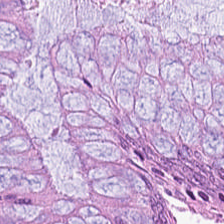Q: Identify the tissue.
A: Normal colonic mucosa.
